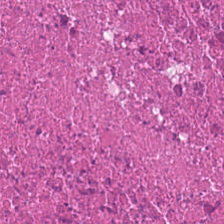Stain: H&E-stained tissue section.
Predominant tissue: cellular debris.
